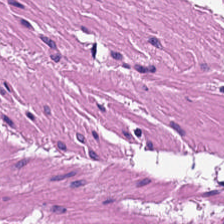Stain: H&E.
Predominant tissue: smooth-muscle tissue.
